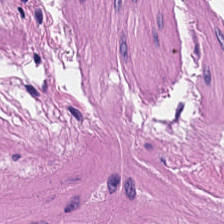Q: What is shown in this field?
A: Smooth muscle.
